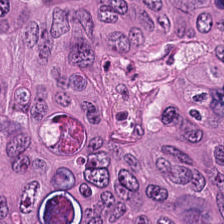Histology — colorectal adenocarcinoma epithelium.
